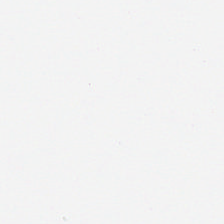224×224 px tile · H&E. Content: background (no tissue).
